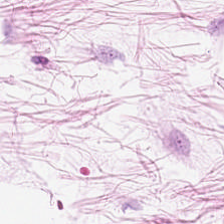Tissue class = fat tissue.
